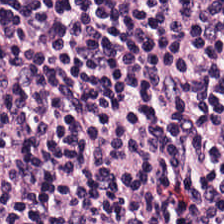Hematoxylin-and-eosin stained section.
Classification = lymphocytic infiltrate.
